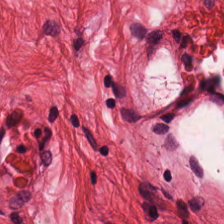H&E.
Q: What is shown in this field?
A: This is smooth muscle.
